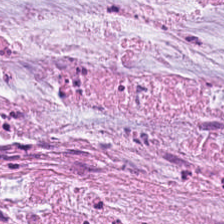Hematoxylin-and-eosin stained section — Q: What is shown in this field?
A: This is mucus.
